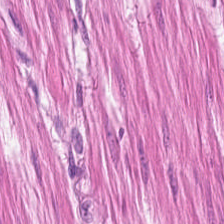The tissue type is smooth muscle.
